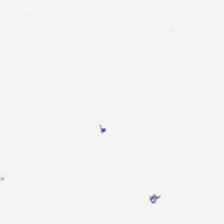Empty background.
